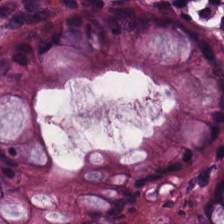{"tissue_type": "benign colonic mucosa"}
